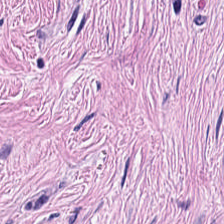H&E.
Tissue type = cancer-associated stroma.
